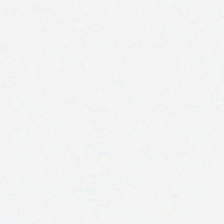H&E.
This patch shows empty background.
